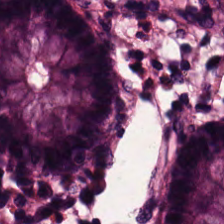Hematoxylin and eosin — Q: Identify the tissue.
A: The field shows non-neoplastic colon mucosa.
